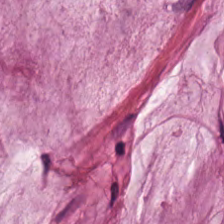Predominantly extracellular mucin.
